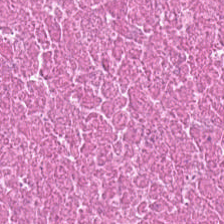224×224 px tile. Hematoxylin-and-eosin stained section. The tissue here is necrotic debris.
